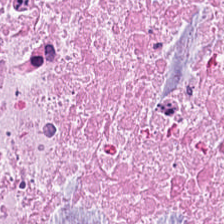H&E stain.
Q: What is the predominant tissue type?
A: This is necrotic debris.
